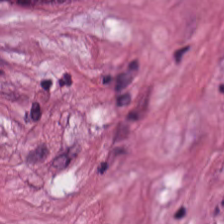Q: What tissue type is shown here?
A: The field shows desmoplastic stroma.
